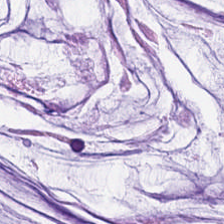H&E stain — The tissue type is mucin.
